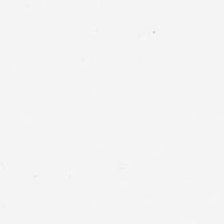H&E stain — The content is background (no tissue).
